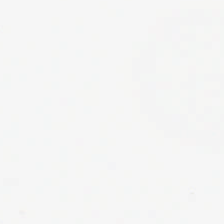Brightfield microscopy; hematoxylin-and-eosin stained section.
No tissue.
